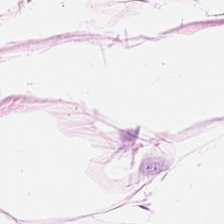224×224 px patch; hematoxylin-and-eosin stained section. Adipose.
